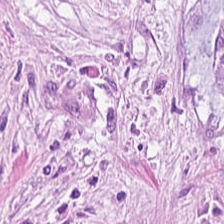The predominant tissue is desmoplastic stroma.
